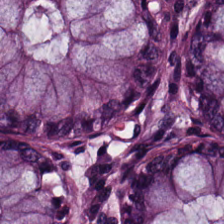Stain: H&E-stained tissue section.
Tissue class: normal colonic mucosa.
